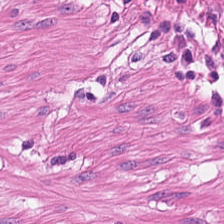H&E stain. 224×224 px patch. Q: What tissue is shown?
A: The field shows smooth muscle.
